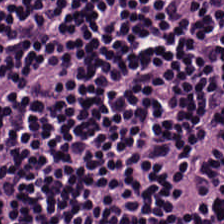H&E stain — Classification — lymphocyte aggregate.
